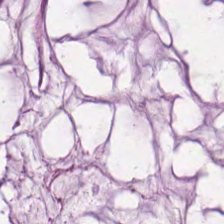H&E stain. The predominant tissue is mucin.
